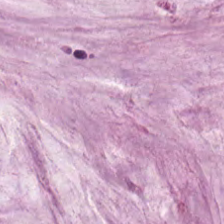Hematoxylin and eosin — Tissue type = extracellular mucin.
